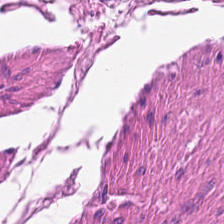Hematoxylin and eosin. The predominant tissue is smooth muscle.
